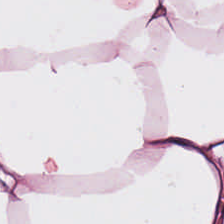H&E-stained section; the field shows fat tissue.
